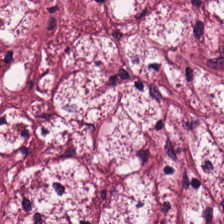H&E stain. Tissue type = cancer-associated stroma.
